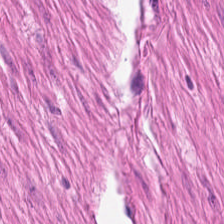H&E. Predominantly smooth-muscle tissue.
